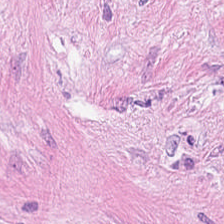Formalin-fixed paraffin-embedded section · WSI patch · hematoxylin-and-eosin stained section.
The predominant tissue is tumor-associated stroma.
